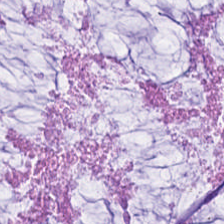H&E — Showing mucus.
